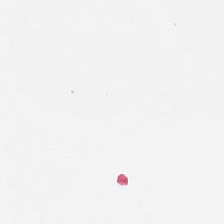H&E-stained tissue section.
The content is no tissue.
